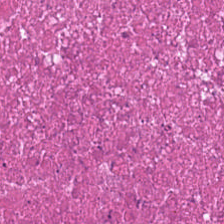H&E stain · FFPE.
Predominant tissue: necrotic debris.
